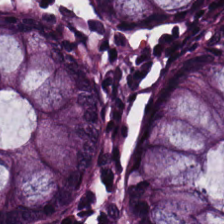{"tissue_type": "benign colonic mucosa"}
